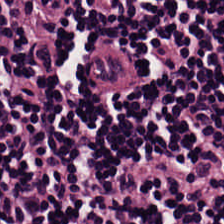H&E.
The tissue here is lymphoid infiltrate.
